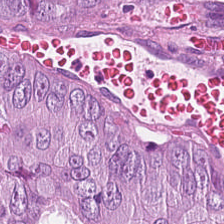H&E · formalin-fixed paraffin-embedded section · WSI patch.
Classification: tumor epithelium.
